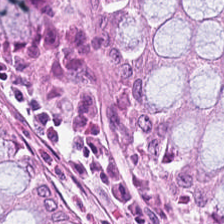H&E — Finding — normal colonic mucosa.
